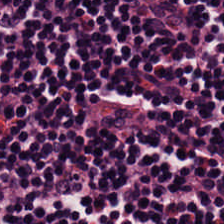H&E-stained tissue section. FFPE tissue section. 20× equivalent magnification — {"tissue_type": "lymphocyte aggregate"}
